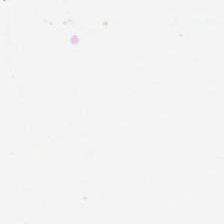Empty field — empty background.
